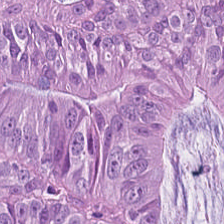Hematoxylin and eosin.
Impression — malignant epithelium.
